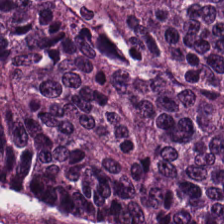H&E-stained tissue section.
This patch shows colorectal adenocarcinoma epithelium.
